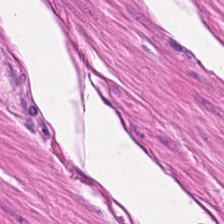The tissue class is smooth muscle.
